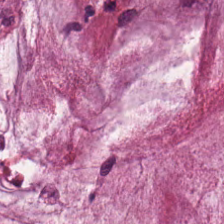Predominantly extracellular mucin.
